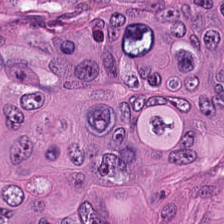H&E — tumor epithelium.
